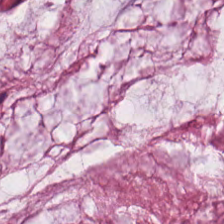H&E-stained tissue section — Q: What does this patch show?
A: Mucin.
